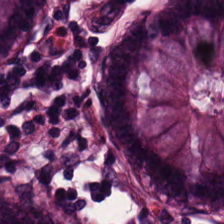Hematoxylin-and-eosin stained section. Brightfield. 0.5 microns per pixel — The tissue here is benign colonic mucosa.
